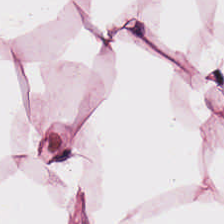0.5 µm/px · H&E-stained tissue section · FFPE tissue section.
Q: What is shown in this field?
A: It is fat tissue.
